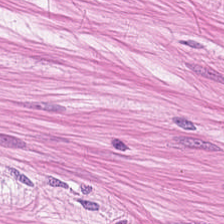Hematoxylin and eosin. WSI patch. 224×224 pixel tile.
{"tissue_type": "smooth-muscle tissue"}
